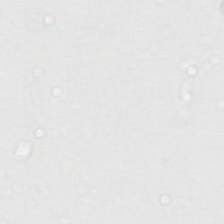Hematoxylin-and-eosin stained section · FFPE tissue section. The classification is empty background.
